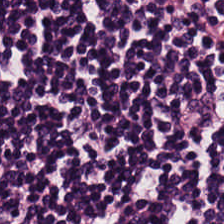The tissue here is lymphocyte aggregate.
